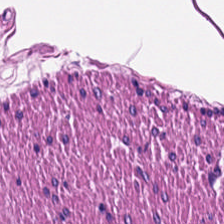H&E · 224×224 px patch.
The tissue class is smooth-muscle tissue.
